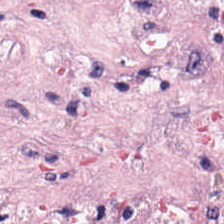H&E stain.
Tissue — desmoplastic stroma.
